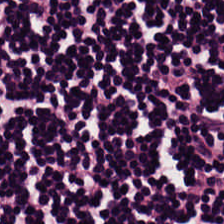224×224 pixel tile. H&E stain.
Predominant tissue: lymphocyte aggregate.
